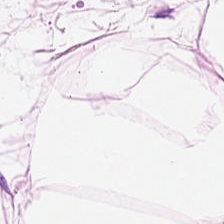Brightfield · H&E. Histology → fat tissue.
